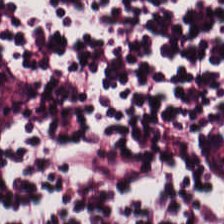0.5 µm per pixel. H&E. Formalin-fixed paraffin-embedded section.
Classification = lymphocytes.
